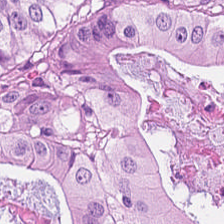Hematoxylin-and-eosin stained section; WSI patch.
This patch shows colorectal adenocarcinoma epithelium.
